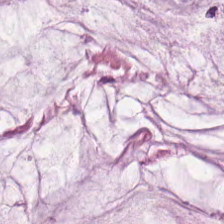H&E-stained tissue section showing extracellular mucin.
